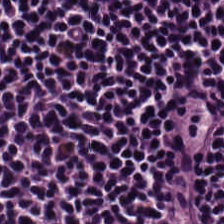Hematoxylin-and-eosin stained section · 0.5 microns per pixel — The tissue here is lymphocyte aggregate.
